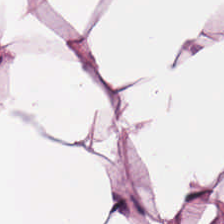Q: What type of tissue is this?
A: The field shows adipose.
